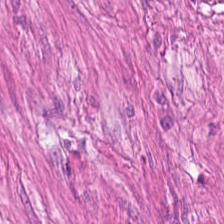Tissue: smooth-muscle tissue.
